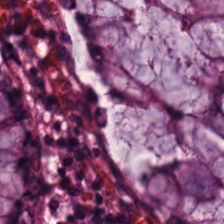The predominant tissue is normal colonic mucosa.
